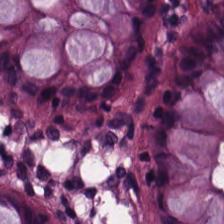Hematoxylin-and-eosin stained section. Showing non-neoplastic colon mucosa.
